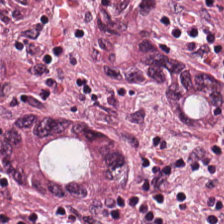H&E patch showing colorectal adenocarcinoma epithelium.
